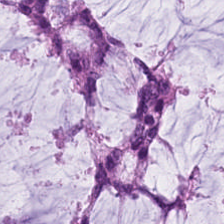224×224 pixel tile. H&E-stained tissue section. Impression → extracellular mucin.
